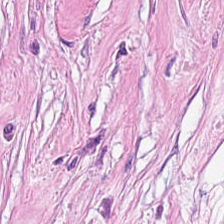Brightfield microscopy; 224×224 px tile; H&E-stained tissue section. Impression — tumor stroma.
